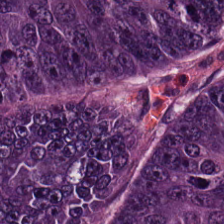H&E stain.
The tissue is malignant epithelium.
